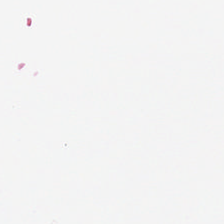Background — no tissue in this field.
